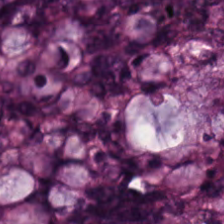H&E-stained tissue section. Tissue — colorectal adenocarcinoma.
